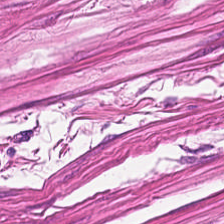224×224 px patch; hematoxylin-and-eosin stained section — Q: What tissue is shown?
A: It is smooth muscle.
